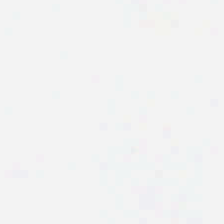Formalin-fixed paraffin-embedded section · WSI patch · hematoxylin-and-eosin stained section — Field content: background (no tissue).
